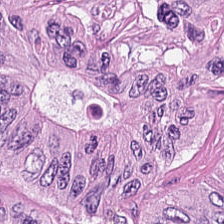Hematoxylin-and-eosin stained section — Classification: colorectal adenocarcinoma epithelium.
